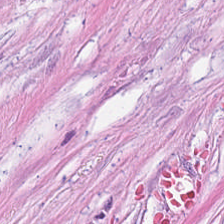Classification — tumor stroma.
